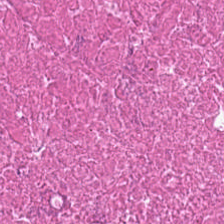H&E stain; formalin-fixed paraffin-embedded section. Predominantly necrotic debris.
